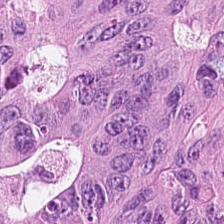FFPE tissue section; H&E stain. {"tissue_type": "colorectal adenocarcinoma epithelium"}
